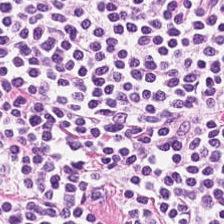224×224 px patch. H&E-stained tissue section — Impression → lymphocytes.
